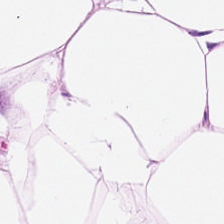Hematoxylin and eosin · 224×224 px tile. The tissue here is adipocytes.
